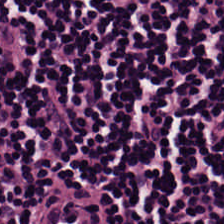Lymphocytes.
